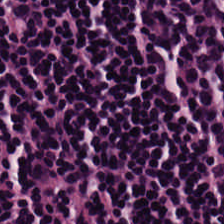Hematoxylin and eosin.
Predominant tissue = lymphocytic infiltrate.
